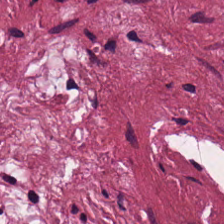224×224 pixel tile; FFPE tissue section; hematoxylin-and-eosin stained section.
Finding → tumor stroma.
